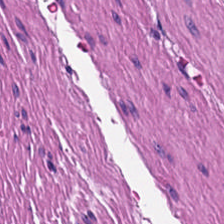Showing smooth muscle.
